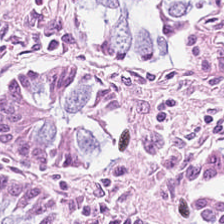H&E stain — Impression → normal colon mucosa.
